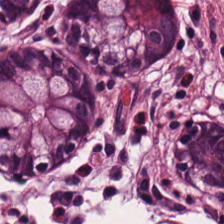H&E stain · 0.5 µm per pixel. The predominant tissue is benign colonic mucosa.
